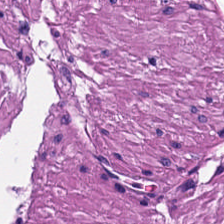FFPE · hematoxylin and eosin. This field is smooth-muscle tissue.
